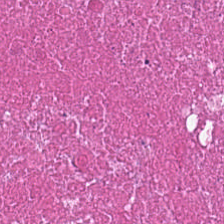Stain: H&E-stained tissue section.
Classification: cellular debris.
